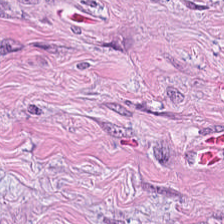H&E-stained tissue section. Tumor-associated stroma.
